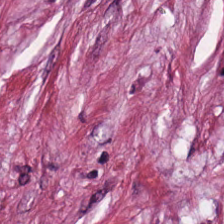Classification = tumor stroma.
